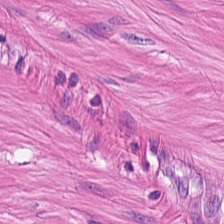Hematoxylin and eosin; 224×224 px tile.
This field is muscularis.
